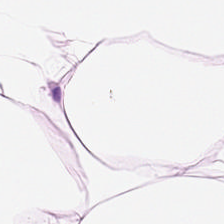FFPE tissue section · brightfield · hematoxylin-and-eosin stained section. This field is adipose.
